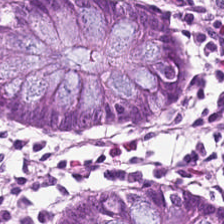Impression → non-neoplastic colon mucosa.
